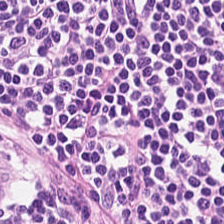H&E stain. {"tissue_type": "lymphocyte aggregate"}
